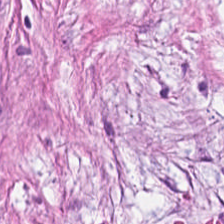Tissue = desmoplastic stroma.
